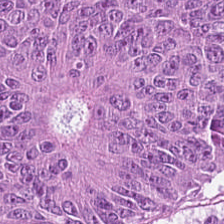Brightfield · H&E stain — Predominantly tumor epithelium.
